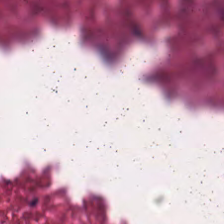H&E stain — Classification — cellular debris.
